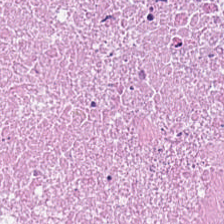Finding → debris.
